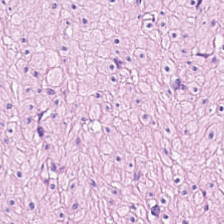Hematoxylin and eosin — Q: What is the predominant tissue type?
A: Smooth-muscle tissue.
